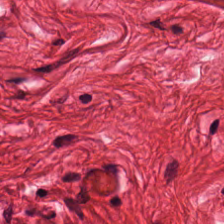0.5 µm per pixel; H&E stain.
Histology → muscularis.
